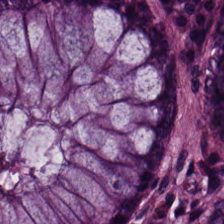H&E stain.
This field is benign colonic mucosa.
